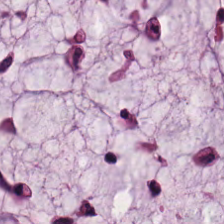Extracellular mucin.
